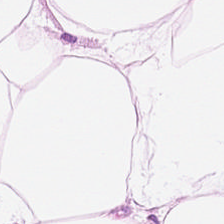0.5 microns per pixel; H&E-stained tissue section. This patch shows adipocytes.
